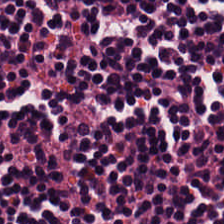Whole-slide-image patch; hematoxylin and eosin; FFPE tissue section. {"tissue_type": "lymphocytes"}
